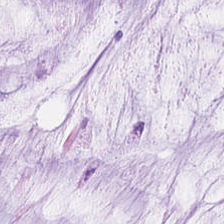H&E-stained tissue section.
Tissue: mucin.
